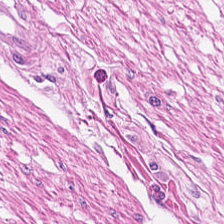H&E-stained tissue section — Q: What tissue is shown?
A: The field shows smooth-muscle tissue.
